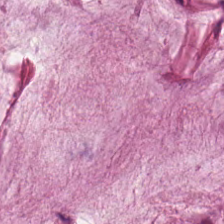224×224 px patch; H&E-stained tissue section.
{"tissue_type": "mucin"}
